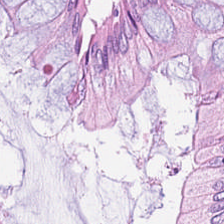The predominant tissue is normal colonic mucosa.
